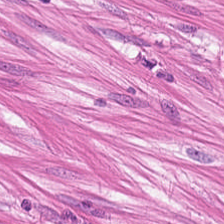H&E stain; 0.5 µm/px; brightfield. Classification = smooth-muscle tissue.
